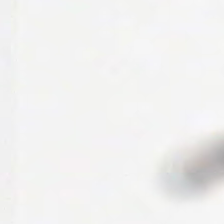Hematoxylin and eosin · 224×224 px patch · 0.5 microns per pixel.
Background — no tissue in this field.
